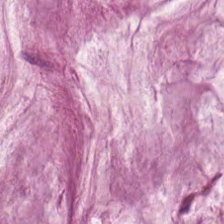H&E-stained tissue section. Histology → mucus.
